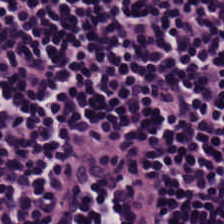The tissue class is lymphocytes.
